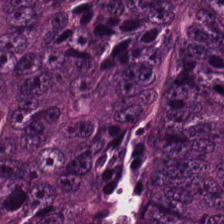Formalin-fixed paraffin-embedded section. 20× equivalent magnification. Hematoxylin-and-eosin stained section — Q: Classify this patch.
A: The field shows colorectal adenocarcinoma epithelium.
